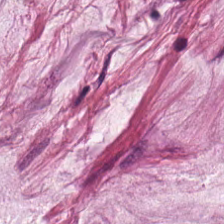Stain: H&E stain.
Preparation: formalin-fixed paraffin-embedded section.
Classification: extracellular mucin.
